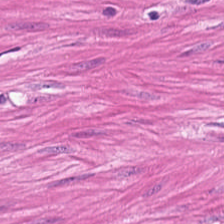Q: What type of tissue is this?
A: This is smooth muscle.
